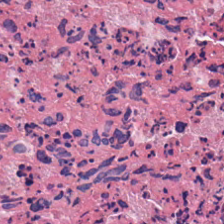Brightfield microscopy; hematoxylin-and-eosin stained section; 224×224 px patch. Q: Identify the tissue.
A: It is necrotic debris.
